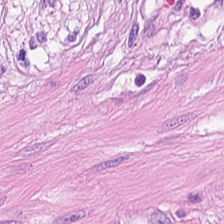H&E. This field is smooth-muscle tissue.
